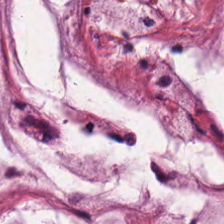Impression — mucin.
